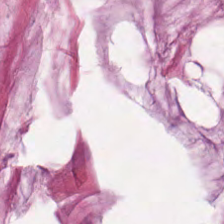20× equivalent magnification; hematoxylin and eosin; brightfield. {"tissue_type": "mucus"}
